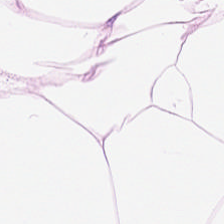H&E — {"tissue_type": "fat tissue"}
